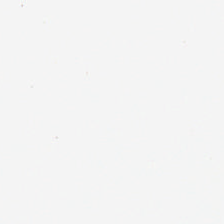No tissue present; background only.
